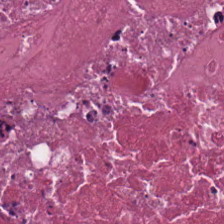Hematoxylin and eosin.
Q: What tissue type is shown here?
A: The field shows necrotic debris.
